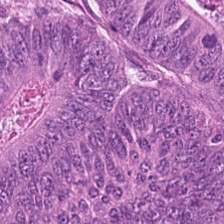0.5 µm/px · 224×224 px patch · H&E stain. Adenocarcinoma.
